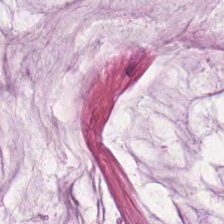224×224 pixel tile; H&E-stained tissue section.
This patch shows mucus.
